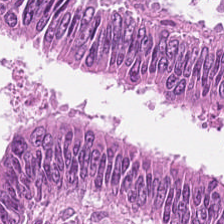H&E stain.
Predominantly colorectal adenocarcinoma epithelium.
